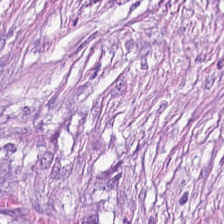{"tissue_type": "tumor-associated stroma"}
